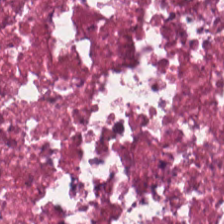0.5 µm/px. Brightfield microscopy. Hematoxylin and eosin — Tissue — cellular debris.
